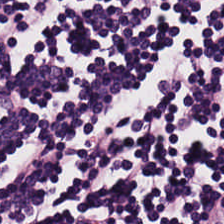Hematoxylin and eosin — Lymphocyte aggregate.
